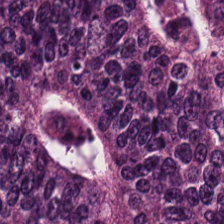H&E · brightfield microscopy · FFPE tissue section. Q: What is shown here?
A: It is colorectal adenocarcinoma.
